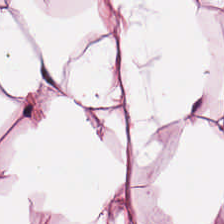H&E — adipocytes.
